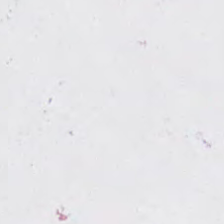H&E-stained tissue section.
Q: Classify this patch.
A: This is background (no tissue).
